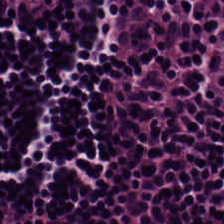Hematoxylin-and-eosin stained section — Q: What tissue is shown?
A: The field shows lymphocytes.
